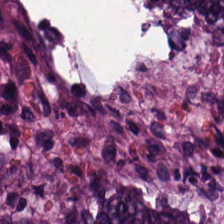FFPE; H&E stain. Q: What tissue type is shown here?
A: The field shows colorectal adenocarcinoma epithelium.
